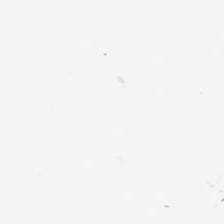H&E stain; 20× equivalent magnification.
Background.
